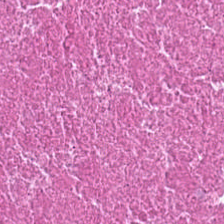224×224 px tile · H&E — Impression — cellular debris.
